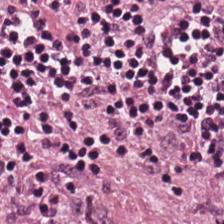Hematoxylin-and-eosin stained section · FFPE. Q: What tissue is shown?
A: This is lymphoid infiltrate.
